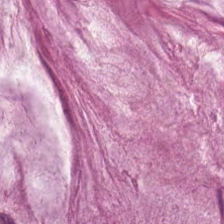Brightfield · H&E — Q: Identify the tissue.
A: This is mucus.
